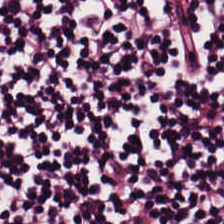H&E-stained tissue section.
Impression → lymphocytic infiltrate.
